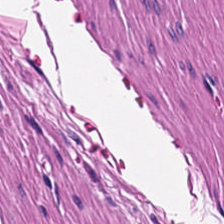H&E stain · 0.5 microns per pixel.
Q: What tissue type is shown here?
A: Muscularis.
